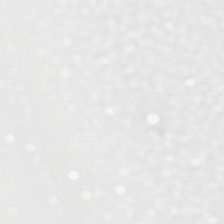Stain: H&E stain.
Resolution: 0.5 µm/px.
Tile size: 224×224 px patch.
Field content: background.
